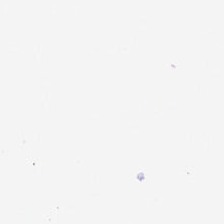H&E-stained tissue section. No tissue present; background only.
